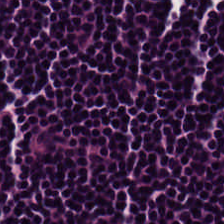H&E-stained tissue section. Tissue class — lymphocytic infiltrate.
